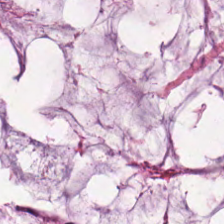Stain: hematoxylin-and-eosin stained section.
Preparation: FFPE tissue section.
Acquisition: whole-slide-image patch.
Predominant tissue: mucin.
